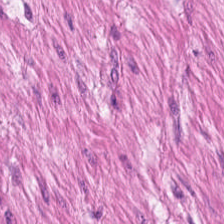Q: What tissue is shown?
A: This is smooth-muscle tissue.
